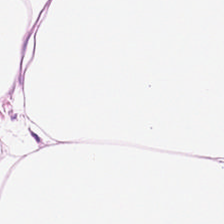FFPE; 224×224 px tile; H&E.
Predominantly adipose tissue.
